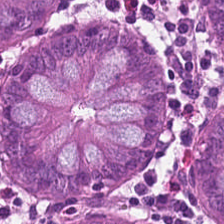H&E stain.
Showing benign colonic mucosa.
